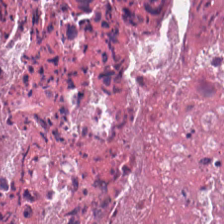0.5 µm/px; H&E.
Impression — necrotic debris.
